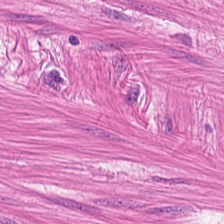Hematoxylin and eosin. 224×224 pixel tile. 0.5 µm per pixel — The classification is smooth-muscle tissue.
